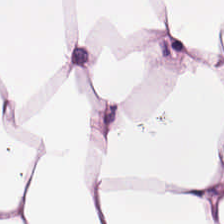This field is adipose.
